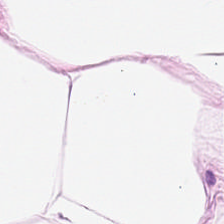{"tissue_type": "adipocytes"}
